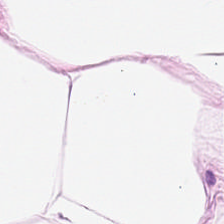{"tissue_type": "adipocytes"}
